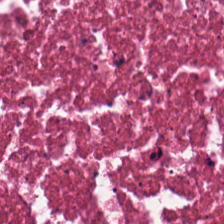224×224 pixel tile. Brightfield. H&E-stained tissue section — Debris.
